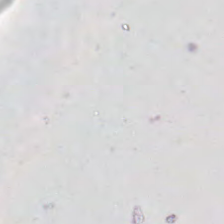H&E. Formalin-fixed paraffin-embedded section. Background — no tissue in this field.
